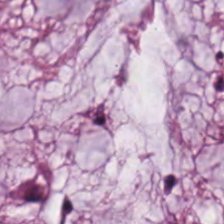Hematoxylin-and-eosin stained section — Predominantly mucin.
